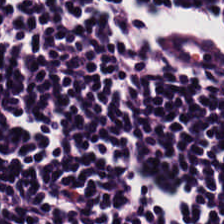Hematoxylin and eosin. Tissue: lymphocytes.
